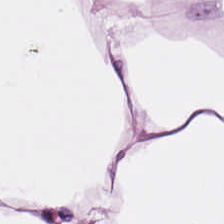FFPE; H&E stain. Q: What tissue is shown?
A: The field shows adipose tissue.
